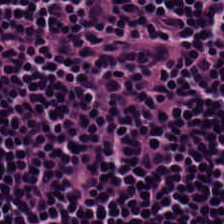Hematoxylin and eosin; whole-slide-image patch. Tissue = lymphoid infiltrate.
